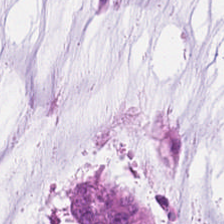Hematoxylin and eosin. The tissue here is mucus.
